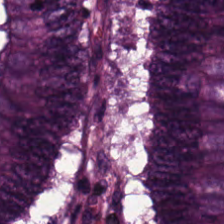224×224 px tile; formalin-fixed paraffin-embedded section; H&E-stained tissue section.
Q: What tissue type is shown here?
A: This is tumor epithelium.
